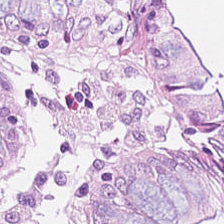Tissue type: normal colon mucosa.
